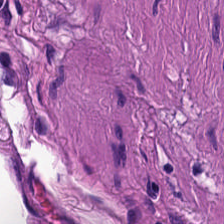Showing muscularis.
